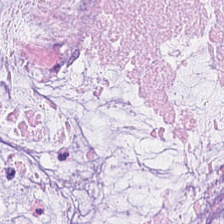Q: What tissue type is shown here?
A: It is mucus.
